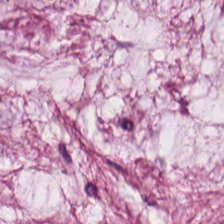The tissue here is mucin.
